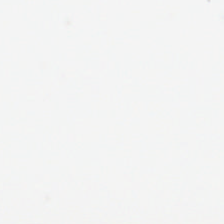Impression → background (no tissue).
